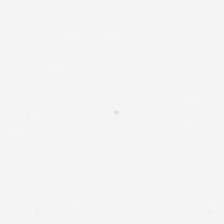Hematoxylin and eosin — Q: What is shown in this field?
A: This is empty background.
